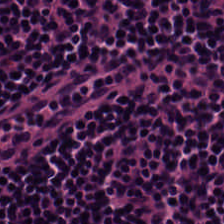Predominant tissue: lymphocyte aggregate.
